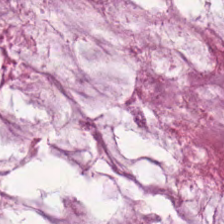Hematoxylin-and-eosin stained section — Q: What is shown in this field?
A: Mucus.
